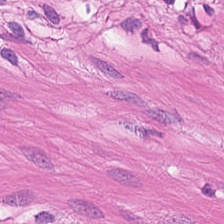224×224 px tile; FFPE; H&E stain.
The tissue class is smooth muscle.
